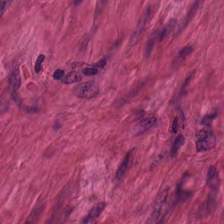This patch shows muscularis.
